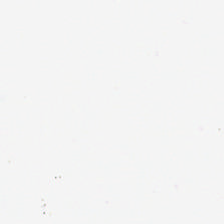224×224 pixel tile · H&E stain. Field content: background (no tissue).
